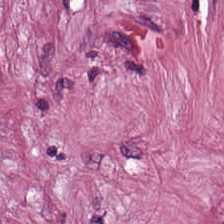Hematoxylin and eosin — Predominant tissue: cancer-associated stroma.
